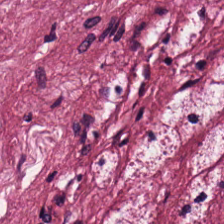H&E — {"tissue_type": "desmoplastic stroma"}
